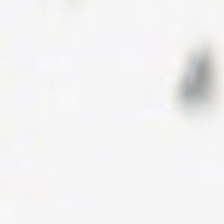H&E; brightfield — Q: What is shown here?
A: It is background.
